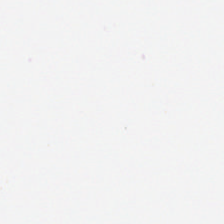Q: What does this patch show?
A: The field shows no tissue.
